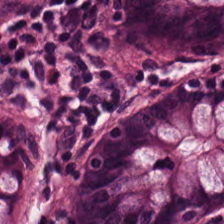FFPE tissue section. H&E stain.
Histology → normal colon mucosa.
